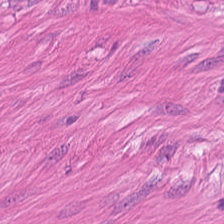H&E-stained tissue section. This field is smooth-muscle tissue.
